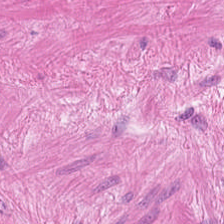Hematoxylin-and-eosin stained section.
This field is smooth muscle.
